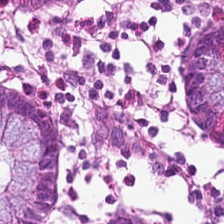H&E-stained tissue section. FFPE tissue section. The tissue type is normal colon mucosa.
